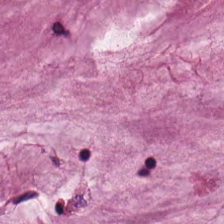Q: What is shown here?
A: Mucus.
